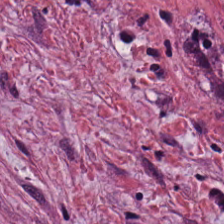Brightfield microscopy; 0.5 microns per pixel; H&E stain. Showing desmoplastic stroma.
